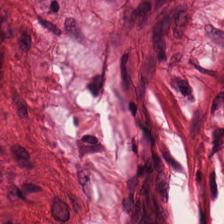H&E; 224×224 px tile.
This field is smooth-muscle tissue.
